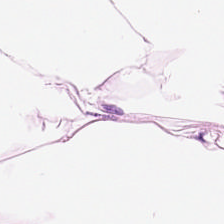Whole-slide-image patch. Hematoxylin-and-eosin stained section.
The tissue here is adipocytes.
